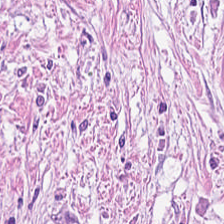Histology — tumor stroma.
